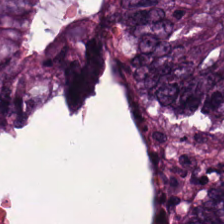Hematoxylin-and-eosin stained section. This field is adenocarcinoma.
